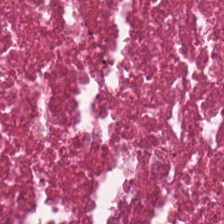Stain: hematoxylin-and-eosin stained section.
Tissue: cellular debris.
